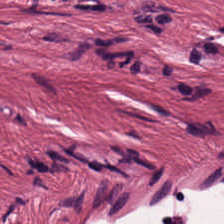Q: What tissue type is shown here?
A: This is desmoplastic stroma.
